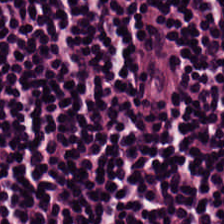The tissue here is lymphoid infiltrate.
